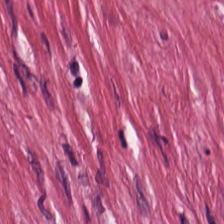H&E — The tissue here is tumor-associated stroma.
